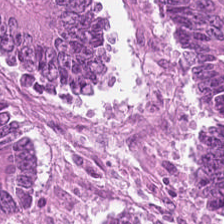H&E · 0.5 µm/px — Showing colorectal adenocarcinoma.
